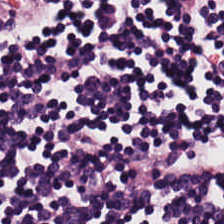Brightfield microscopy · H&E stain. Impression — lymphoid infiltrate.
